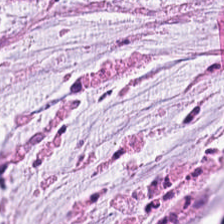The tissue here is mucin.
